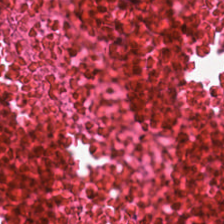H&E — Tissue: necrotic debris.
